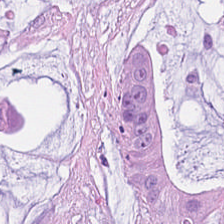Hematoxylin-and-eosin stained section.
Tissue: extracellular mucin.
